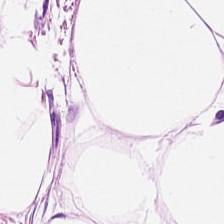H&E stain.
Q: What is shown here?
A: The field shows adipocytes.
